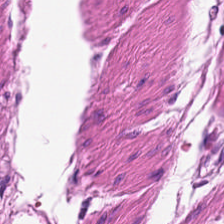H&E stain.
The tissue here is muscularis.
